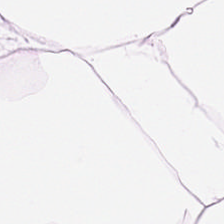H&E stain.
The tissue is adipocytes.
